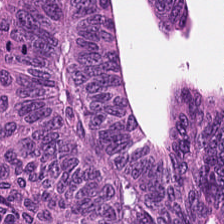FFPE · 224×224 px tile · H&E-stained tissue section. Q: What tissue type is shown here?
A: It is tumor epithelium.
